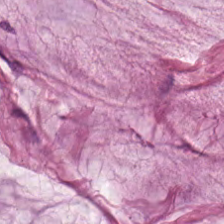Tissue class — mucus.
